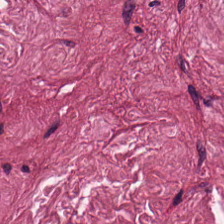H&E-stained tissue section · whole-slide-image patch · FFPE.
Tumor stroma.
